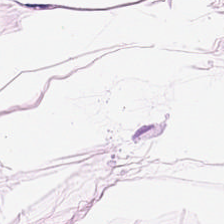Q: What type of tissue is this?
A: It is fat tissue.
